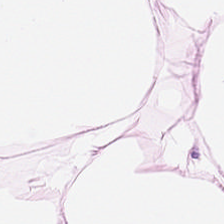Finding — fat tissue.
